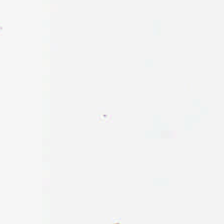Field content: no tissue.
